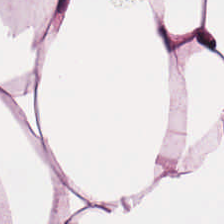Predominant tissue: fat tissue.
